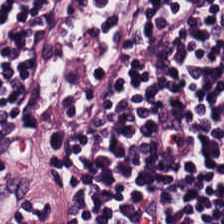Hematoxylin-and-eosin stained section.
The tissue here is lymphocytic infiltrate.
